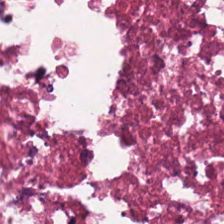Tissue class: cellular debris.
